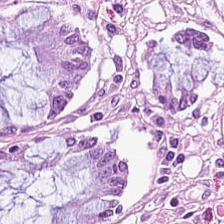Hematoxylin-and-eosin stained section · 0.5 microns per pixel — Q: What does this patch show?
A: This is normal colonic mucosa.
